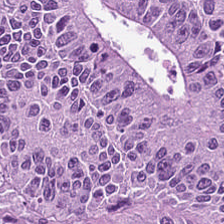H&E stain. 224×224 pixel tile. Predominantly adenocarcinoma.
